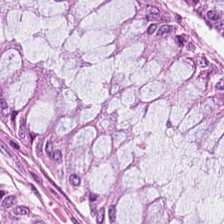H&E-stained tissue section. 20× equivalent magnification.
Histology → non-neoplastic colon mucosa.
